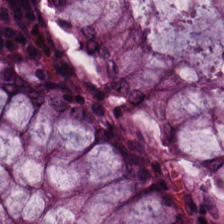Q: What is shown here?
A: This is non-neoplastic colon mucosa.
